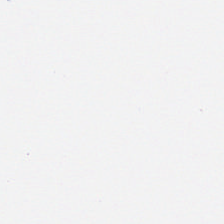Brightfield microscopy. FFPE. H&E — Q: What is shown in this field?
A: The field shows background (no tissue).
